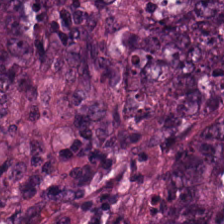H&E; FFPE tissue section — Showing colorectal adenocarcinoma.
